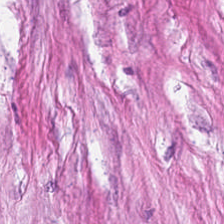The tissue here is tumor stroma.
